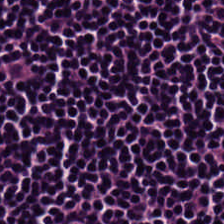Stain: hematoxylin and eosin.
Tissue: lymphoid infiltrate.
